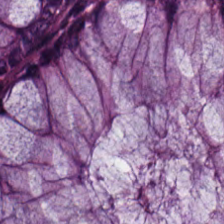H&E-stained tissue section. Q: What does this patch show?
A: The field shows normal colonic mucosa.
